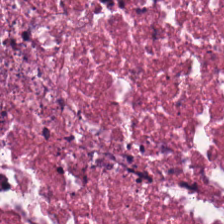H&E — necrotic debris.
